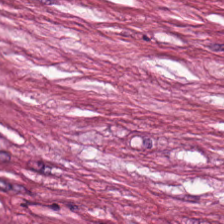Tissue type — cellular debris.
